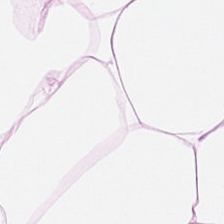Finding → fat tissue.
